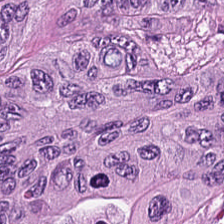224×224 pixel tile · hematoxylin-and-eosin stained section. Tissue type = colorectal adenocarcinoma epithelium.
